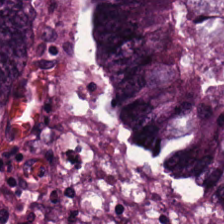Showing tumor epithelium.
